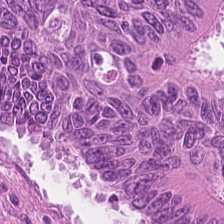224×224 px tile. H&E-stained tissue section — {"tissue_type": "colorectal adenocarcinoma epithelium"}
